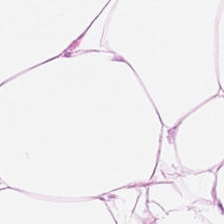H&E — This field is fat tissue.
